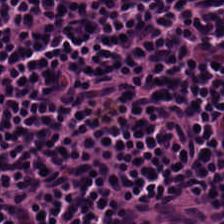Classification: lymphocyte aggregate.
